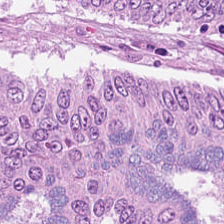Hematoxylin and eosin — Showing tumor epithelium.
